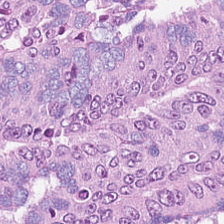The predominant tissue is tumor epithelium.
